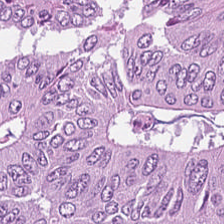224×224 px tile; WSI patch; H&E-stained tissue section — The tissue type is colorectal adenocarcinoma epithelium.
